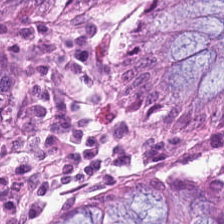Hematoxylin-and-eosin stained section — Showing non-neoplastic colon mucosa.
